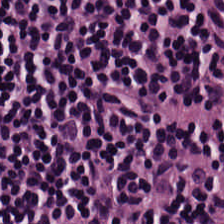224×224 px tile. Hematoxylin-and-eosin stained section.
Q: What type of tissue is this?
A: The field shows lymphoid infiltrate.
